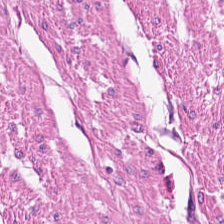H&E · 224×224 px patch · FFPE tissue section — Histology — muscularis.
